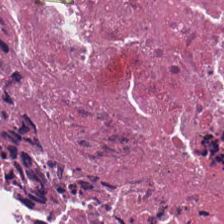Tissue class = cellular debris.
